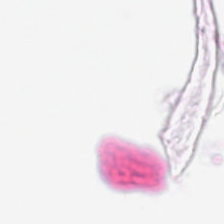WSI patch. Hematoxylin and eosin. FFPE tissue section — Classification = empty background.
